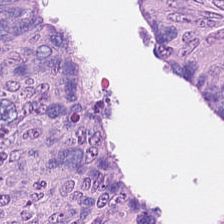Hematoxylin and eosin — The tissue class is colorectal adenocarcinoma.
